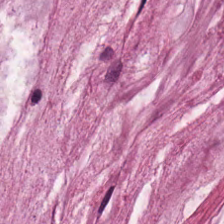0.5 µm/px · H&E · 224×224 px tile — Tissue — extracellular mucin.
